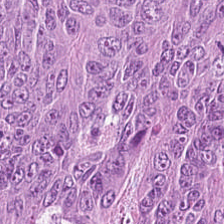0.5 microns per pixel · whole-slide-image patch · H&E stain — The tissue here is malignant epithelium.
